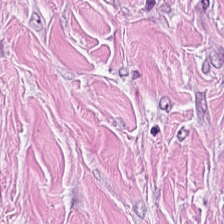H&E stain; formalin-fixed paraffin-embedded section; 0.5 µm/px. Tissue class = tumor-associated stroma.
